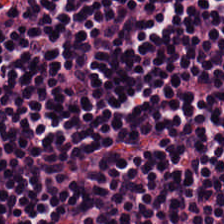Hematoxylin and eosin.
This field is lymphocyte aggregate.
